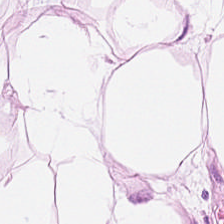Tissue = adipocytes.
